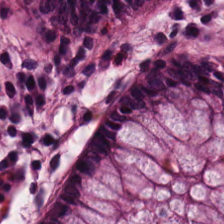Hematoxylin and eosin — Showing normal colonic mucosa.
